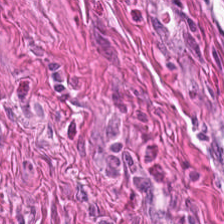0.5 µm/px. Hematoxylin-and-eosin stained section — Tissue class — smooth muscle.
